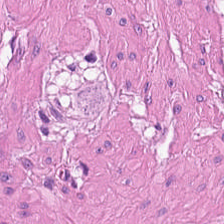224×224 px tile · H&E-stained tissue section · formalin-fixed paraffin-embedded section. Q: What is shown in this field?
A: This is smooth muscle.
